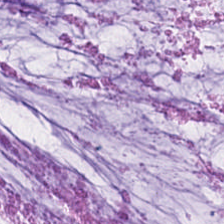Stain: H&E-stained tissue section.
Tissue class: extracellular mucin.
